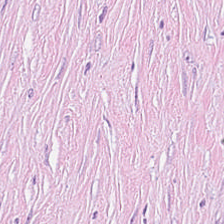Formalin-fixed paraffin-embedded section · hematoxylin-and-eosin stained section — Predominantly desmoplastic stroma.
